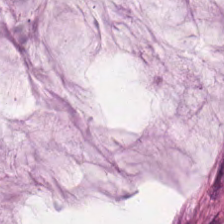H&E stain. Formalin-fixed paraffin-embedded section — {"tissue_type": "mucus"}
